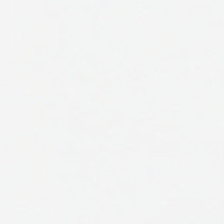Hematoxylin-and-eosin stained section · 224×224 px patch · formalin-fixed paraffin-embedded section — Impression → background.
